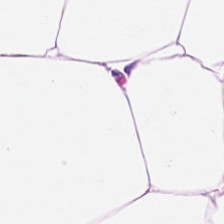Q: What does this patch show?
A: It is adipose tissue.
